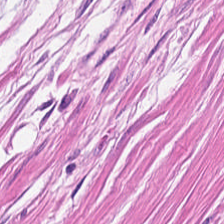H&E-stained section; the field shows smooth-muscle tissue.
